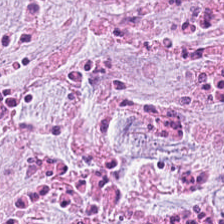0.5 µm per pixel. H&E stain.
Tissue class = tumor-associated stroma.
